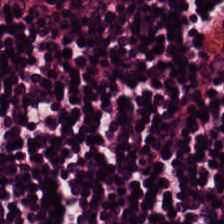H&E-stained tissue section · 224×224 px tile · 0.5 µm per pixel — This patch shows lymphocytic infiltrate.
